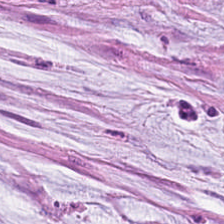H&E; whole-slide-image patch — The tissue here is extracellular mucin.
